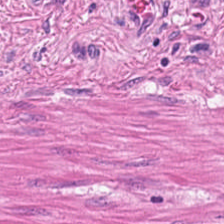Stain: hematoxylin and eosin.
Preparation: FFPE.
Resolution: 0.5 µm per pixel.
Classification: smooth muscle.
